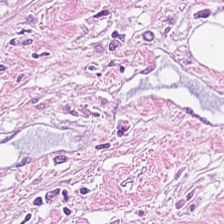Q: What type of tissue is this?
A: This is tumor stroma.
